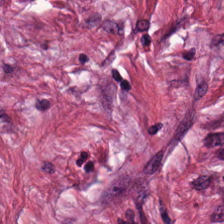H&E stain. Tissue = cancer-associated stroma.
